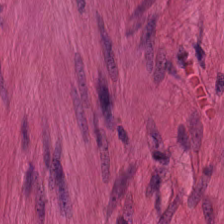Whole-slide-image patch · H&E-stained tissue section. The tissue is muscularis.
